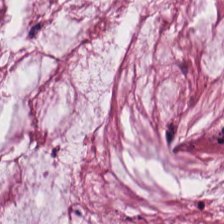H&E-stained tissue section — Mucus.
